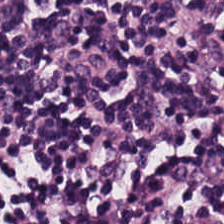H&E-stained tissue section — The tissue type is lymphocytic infiltrate.
